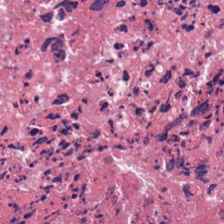H&E-stained tissue section. This patch shows necrotic debris.
